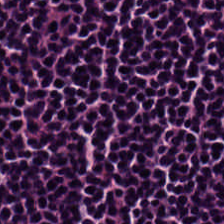Hematoxylin and eosin. 224×224 pixel tile. 0.5 µm/px.
Showing lymphoid infiltrate.
